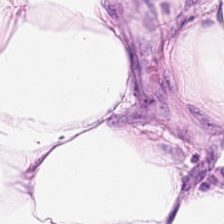Hematoxylin-and-eosin stained section. Classification: fat tissue.
